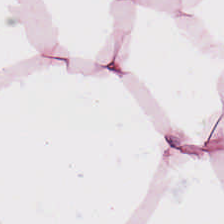Hematoxylin-and-eosin stained section. 0.5 microns per pixel. Brightfield.
Q: What does this patch show?
A: This is adipocytes.
